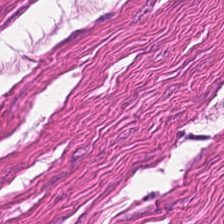Stain: H&E stain.
Tissue type: muscularis.
